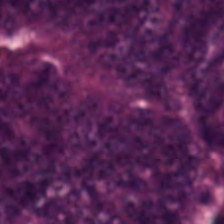H&E stain. 20× equivalent magnification.
Showing colorectal adenocarcinoma.
